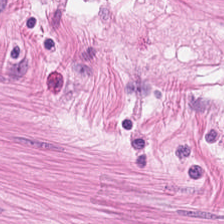H&E stain. Classification = smooth-muscle tissue.
